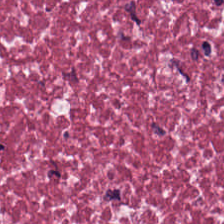Stain: H&E stain.
Resolution: 0.5 µm per pixel.
Tissue class: tumor stroma.
